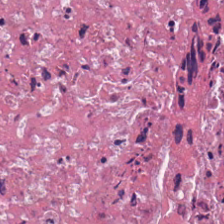Stain: H&E.
Acquisition: WSI patch.
Preparation: FFPE.
Predominant tissue: cellular debris.
